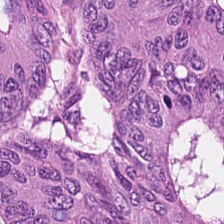Hematoxylin and eosin. Q: What is shown in this field?
A: The field shows tumor epithelium.
